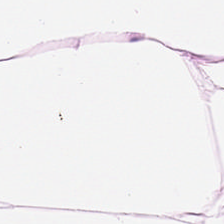Hematoxylin-and-eosin stained section. This patch shows adipose tissue.
